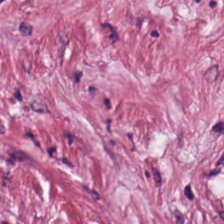H&E — tumor-associated stroma.
